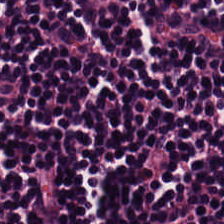Finding — lymphoid infiltrate.
